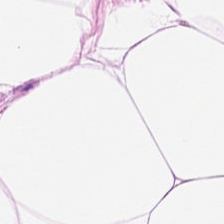Stain: H&E stain.
Resolution: 20× equivalent magnification.
Tissue class: adipocytes.
